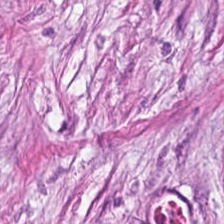Whole-slide-image patch; H&E-stained tissue section; FFPE tissue section. Classification = desmoplastic stroma.
